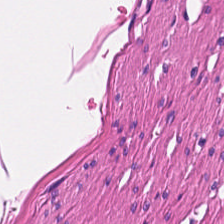Q: Classify this patch.
A: It is smooth-muscle tissue.
